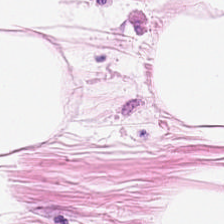Predominantly adipose.
